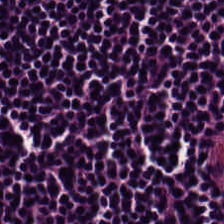H&E-stained tissue section; brightfield — {"tissue_type": "lymphocytes"}
